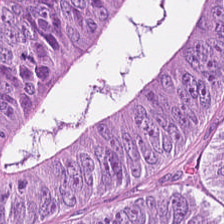Finding — adenocarcinoma.
